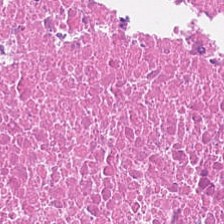Q: What tissue type is shown here?
A: The field shows debris.
